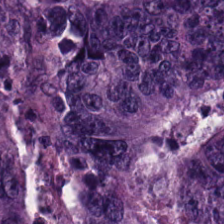Predominant tissue = adenocarcinoma.
